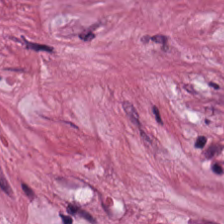The tissue here is cancer-associated stroma.
